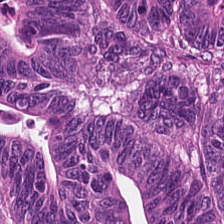WSI patch. H&E.
This patch shows colorectal adenocarcinoma.
